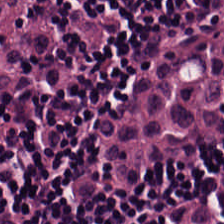Hematoxylin and eosin. Brightfield. This field is lymphocyte aggregate.
